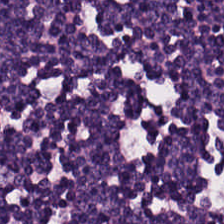Hematoxylin-and-eosin stained section.
{"tissue_type": "lymphocyte aggregate"}
